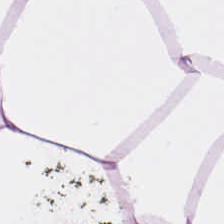Stain: hematoxylin and eosin.
Tissue class: adipose tissue.
